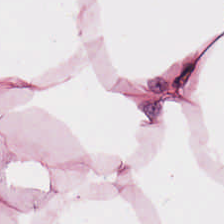Hematoxylin-and-eosin stained section.
Q: What does this patch show?
A: Adipose.
